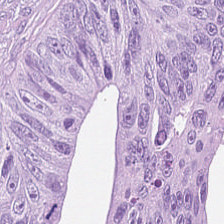Brightfield. H&E.
Tissue — colorectal adenocarcinoma epithelium.
